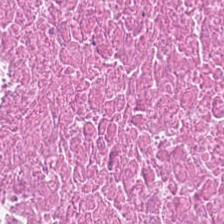Predominantly necrotic debris.
